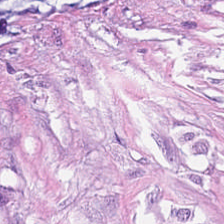Finding → tumor stroma.
